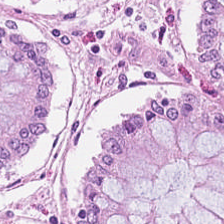Hematoxylin and eosin.
Q: What is shown here?
A: Normal colonic mucosa.
